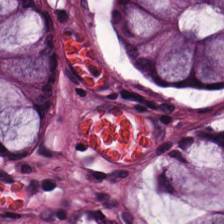H&E stain.
Predominantly non-neoplastic colon mucosa.
